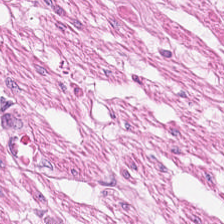FFPE. 0.5 microns per pixel. Hematoxylin-and-eosin stained section.
Predominantly smooth-muscle tissue.
